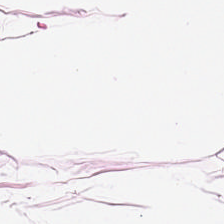Q: What is shown in this field?
A: Adipose.
